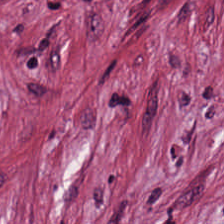Hematoxylin and eosin. Tissue class: desmoplastic stroma.
